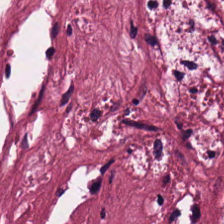H&E stain. The predominant tissue is tumor-associated stroma.
